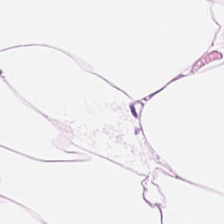Hematoxylin-and-eosin stained section. Formalin-fixed paraffin-embedded section — The tissue class is adipocytes.
